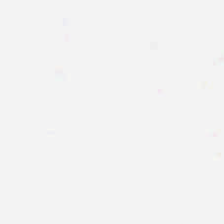H&E; WSI patch. {"content": "background (no tissue)"}
